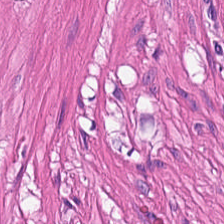Stain: hematoxylin-and-eosin stained section.
Tissue: smooth muscle.
